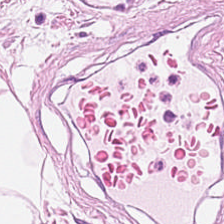0.5 microns per pixel · hematoxylin and eosin · WSI patch. Tissue type — fat tissue.
